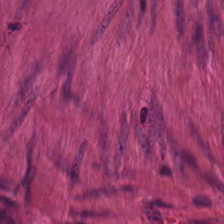H&E-stained tissue section — Classification = smooth-muscle tissue.
